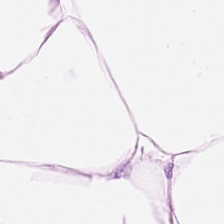Stain: H&E stain.
Predominant tissue: adipose.
